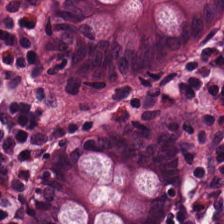Stain: hematoxylin and eosin.
Tissue class: normal colon mucosa.
